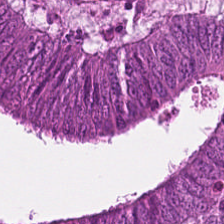Finding — adenocarcinoma.
